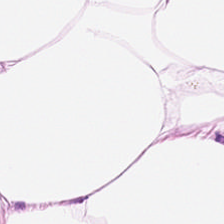H&E stain — Finding → adipose tissue.
